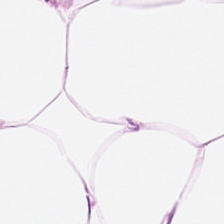H&E stain.
Adipose tissue.
